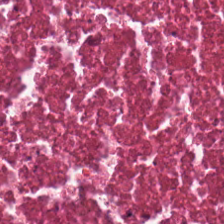Hematoxylin-and-eosin stained section. Tissue: debris.
